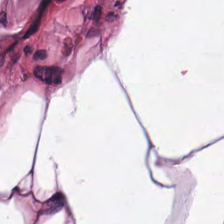Hematoxylin and eosin. Q: What tissue type is shown here?
A: It is adipocytes.
